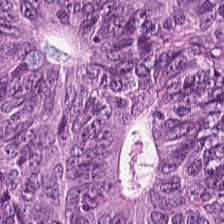Q: What type of tissue is this?
A: Adenocarcinoma.
